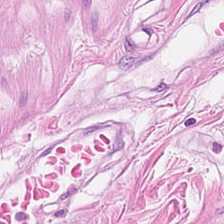Brightfield. Hematoxylin and eosin — Q: Identify the tissue.
A: This is smooth muscle.
